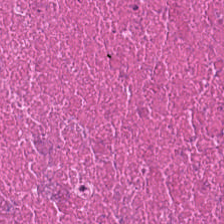Stain: hematoxylin and eosin.
Tissue class: cellular debris.
